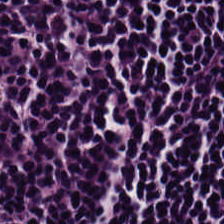H&E.
Predominantly lymphocyte aggregate.
